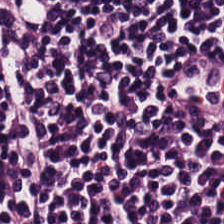H&E — lymphocytic infiltrate.
